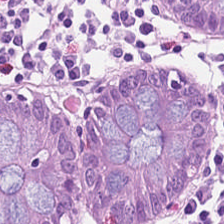H&E-stained tissue section — The predominant tissue is normal colon mucosa.
